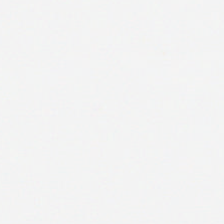Finding — background.
